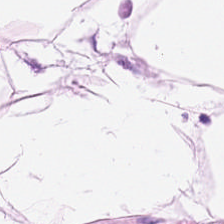Stain: hematoxylin and eosin.
Preparation: formalin-fixed paraffin-embedded section.
Acquisition: brightfield.
Tissue type: adipose.
